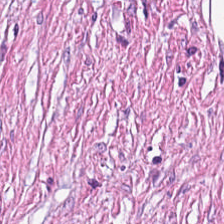H&E.
Q: What is shown in this field?
A: It is tumor stroma.
